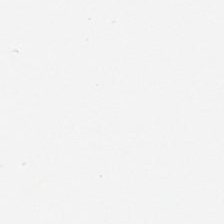H&E-stained tissue section · FFPE tissue section — {"tissue_type": "adipose tissue"}
